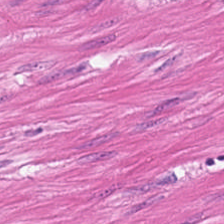H&E-stained tissue section — Smooth-muscle tissue.
